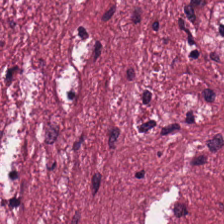Stain: H&E-stained tissue section.
Resolution: 0.5 µm/px.
Tile size: 224×224 px tile.
Tissue: tumor stroma.
